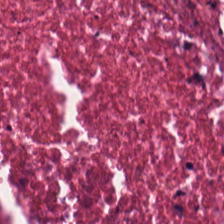H&E-stained tissue section — Q: What is the predominant tissue type?
A: Cellular debris.
